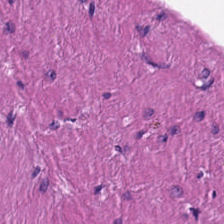H&E stain.
Q: What is shown in this field?
A: It is smooth-muscle tissue.
